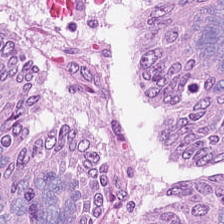Stain: H&E-stained tissue section.
Predominant tissue: tumor epithelium.
